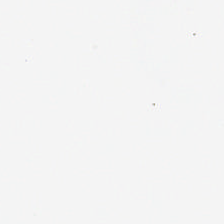Brightfield · H&E stain.
No tissue present; background only.
